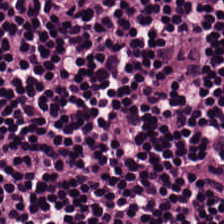Hematoxylin and eosin. 224×224 px patch. Impression — lymphocytic infiltrate.
